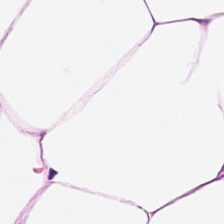Hematoxylin and eosin. Tissue class: fat tissue.
